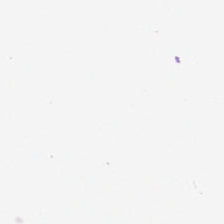H&E stain; brightfield. This patch shows background (no tissue).
